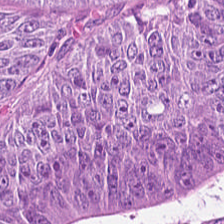WSI patch · hematoxylin and eosin.
Showing adenocarcinoma.
